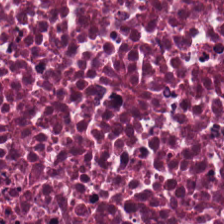Hematoxylin and eosin.
Impression → debris.
